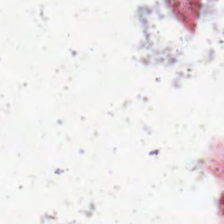H&E-stained tissue section — Background — no tissue in this field.
